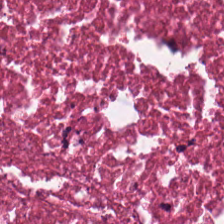Stain: H&E.
Acquisition: whole-slide-image patch.
Predominant tissue: cellular debris.
